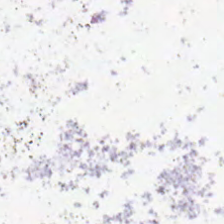224×224 pixel tile. Hematoxylin-and-eosin stained section. Classification — background (no tissue).
